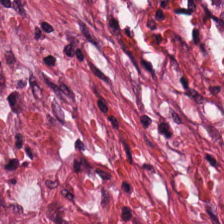Showing desmoplastic stroma.
